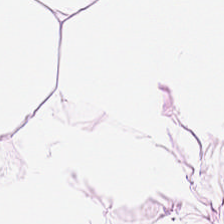H&E.
Predominantly adipocytes.
